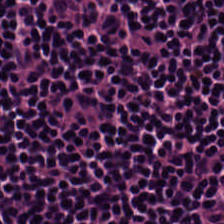WSI patch. H&E-stained tissue section. 224×224 px patch. Q: What does this patch show?
A: Lymphocytes.
